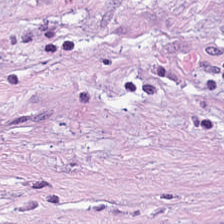H&E — Tissue — cancer-associated stroma.
